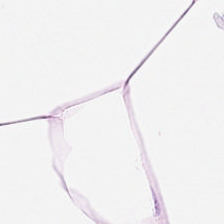{"tissue_type": "adipocytes"}
